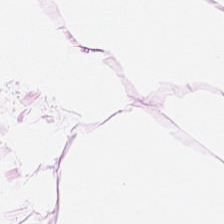Hematoxylin-and-eosin stained section. Finding → adipocytes.
